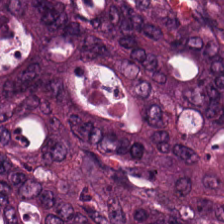Hematoxylin-and-eosin stained section. Q: Classify this patch.
A: It is tumor epithelium.
